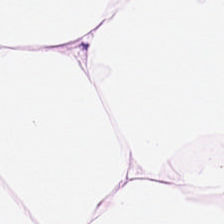This field is adipose.
